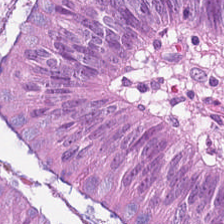Hematoxylin-and-eosin stained section.
Q: What is shown here?
A: It is adenocarcinoma.
